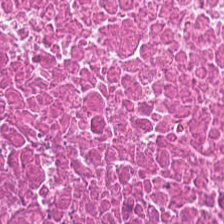Histology → necrotic debris.
